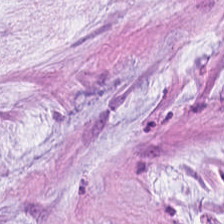H&E-stained tissue section. 0.5 µm/px. FFPE tissue section.
The tissue type is mucin.
